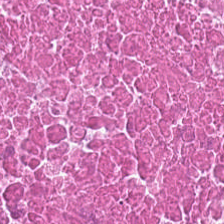H&E-stained tissue section. The predominant tissue is necrotic debris.
